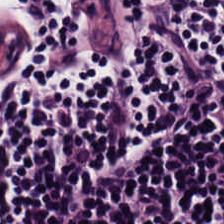Hematoxylin and eosin.
Predominant tissue: lymphocytes.
